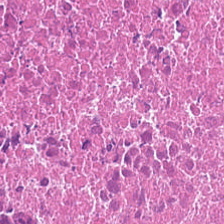H&E; formalin-fixed paraffin-embedded section.
Cellular debris.
